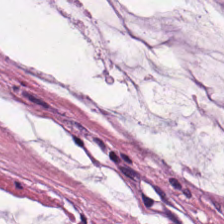Stain: H&E-stained tissue section.
Classification: mucus.
